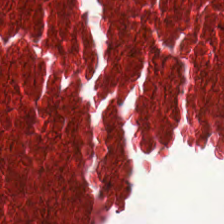Necrotic debris.
